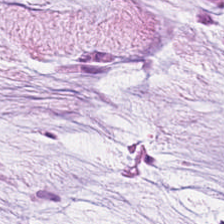Hematoxylin-and-eosin stained section. Mucus.
